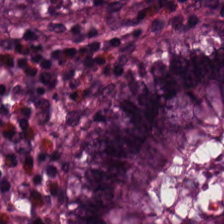Q: Classify this patch.
A: Normal colonic mucosa.
